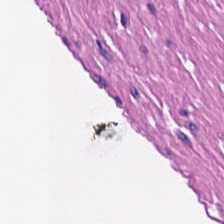Stain: H&E stain.
Preparation: FFPE.
Predominant tissue: muscularis.
